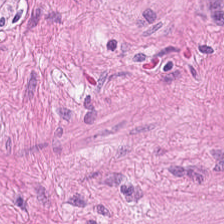Hematoxylin-and-eosin stained section · FFPE tissue section.
The tissue here is muscularis.
